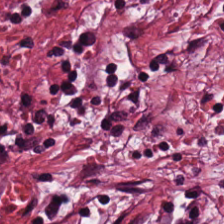This field is tumor-associated stroma.
